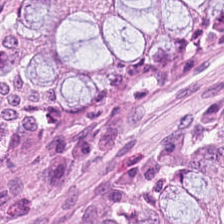Formalin-fixed paraffin-embedded section. Hematoxylin and eosin. 0.5 µm/px. Predominant tissue — non-neoplastic colon mucosa.
